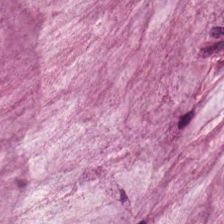H&E stain. 0.5 microns per pixel. Formalin-fixed paraffin-embedded section.
Tissue: mucus.
